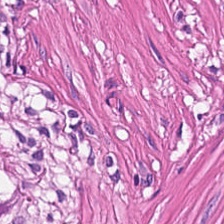Hematoxylin and eosin · 224×224 px patch. This patch shows smooth muscle.
